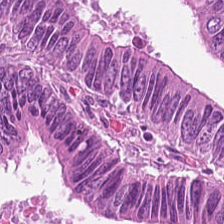Q: What is the predominant tissue type?
A: Colorectal adenocarcinoma epithelium.
